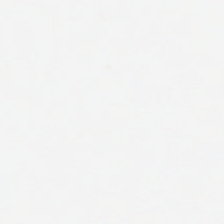H&E; brightfield microscopy; 0.5 µm/px — Empty field — no tissue.
